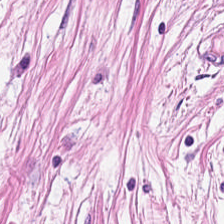Cancer-associated stroma.
